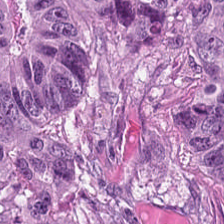H&E stain.
Predominantly adenocarcinoma.
